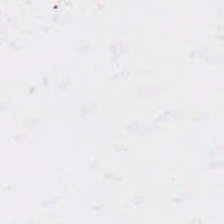Whole-slide-image patch · H&E-stained tissue section — This patch shows no tissue.
